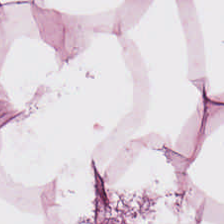H&E-stained tissue section; formalin-fixed paraffin-embedded section. Classification: adipose tissue.
